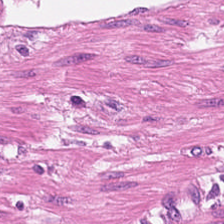H&E-stained tissue section. WSI patch. Q: Classify this patch.
A: It is smooth muscle.
